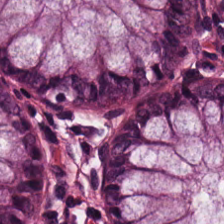224×224 px tile. 20× equivalent magnification. H&E. Tissue — normal colon mucosa.
